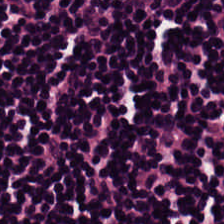Formalin-fixed paraffin-embedded section. Hematoxylin and eosin. Predominant tissue = lymphoid infiltrate.
